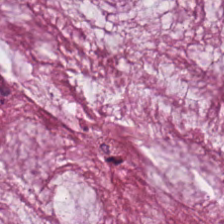Stain: H&E-stained tissue section.
Resolution: 20× equivalent magnification.
Tissue type: mucus.
